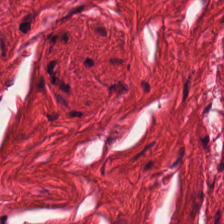224×224 px tile. 0.5 microns per pixel. Hematoxylin-and-eosin stained section. The tissue here is smooth muscle.
